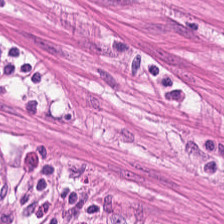Hematoxylin and eosin; 0.5 microns per pixel.
Classification = smooth-muscle tissue.
